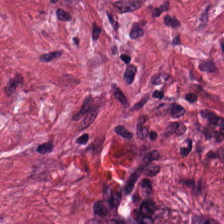H&E. Showing cancer-associated stroma.
